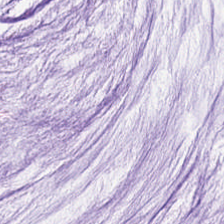Stain: hematoxylin-and-eosin stained section.
Tissue: mucin.
